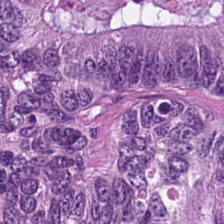The tissue here is adenocarcinoma.
